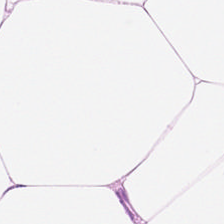The predominant tissue is fat tissue.
